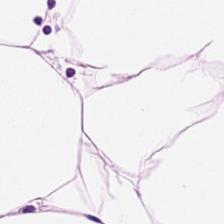Tissue class — fat tissue.
